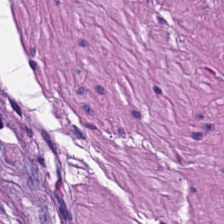H&E-stained tissue section; 224×224 pixel tile. The predominant tissue is muscularis.
